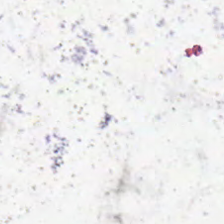Stain: H&E stain.
Content: empty background.
